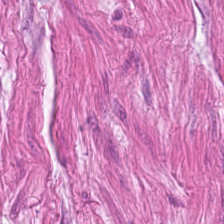Stain: hematoxylin-and-eosin stained section.
Resolution: 0.5 µm per pixel.
Preparation: FFPE tissue section.
Tissue class: smooth muscle.
